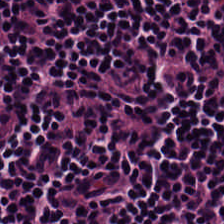Hematoxylin-and-eosin stained section.
This field is lymphocytic infiltrate.
